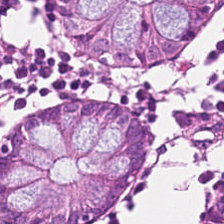Predominant tissue: benign colonic mucosa.
